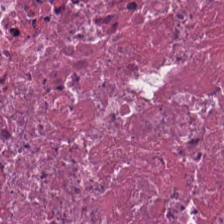Hematoxylin-and-eosin stained section — {"tissue_type": "debris"}
